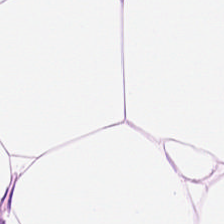The classification is adipose.
